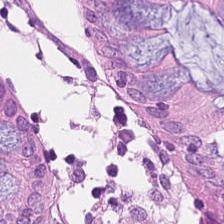Hematoxylin and eosin.
Classification = benign colonic mucosa.
